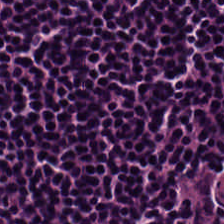H&E-stained tissue section · 224×224 pixel tile.
Lymphocytes.
